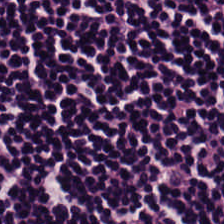Lymphocytes.
